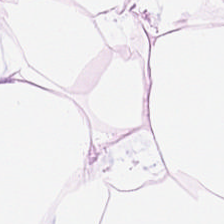Hematoxylin-and-eosin stained section — Fat tissue.
